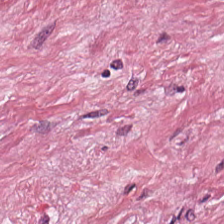H&E-stained tissue section · 20× equivalent magnification. Q: Classify this patch.
A: The field shows cancer-associated stroma.
